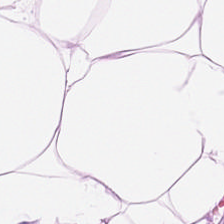H&E-stained tissue section — Showing adipose.
